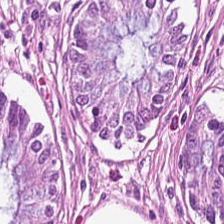H&E-stained tissue section. Brightfield. 224×224 px patch.
The tissue is non-neoplastic colon mucosa.
